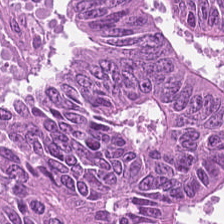This patch shows colorectal adenocarcinoma.
